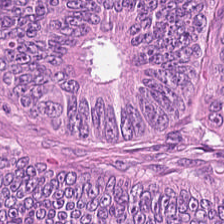Finding → colorectal adenocarcinoma.
